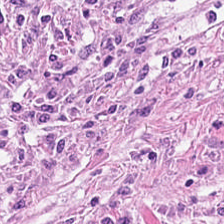0.5 microns per pixel · brightfield microscopy · H&E stain. The predominant tissue is tumor stroma.
